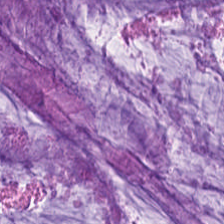FFPE; 224×224 px tile; hematoxylin-and-eosin stained section — Q: What tissue is shown?
A: The field shows mucus.
